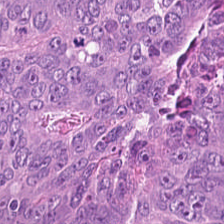H&E — Tissue type = colorectal adenocarcinoma.
